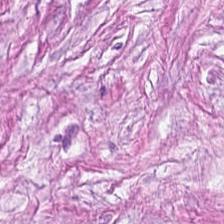The classification is tumor stroma.
